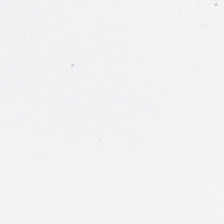H&E. Classification: no tissue.
